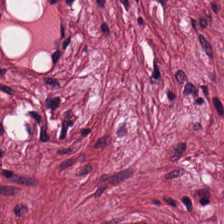Hematoxylin and eosin. Showing tumor stroma.
